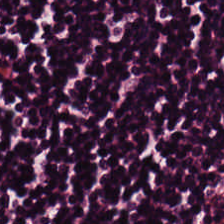H&E stain.
The tissue here is lymphoid infiltrate.
